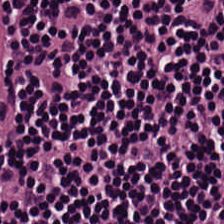Brightfield microscopy. H&E stain.
Impression — lymphoid infiltrate.
